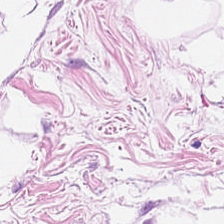Stain: hematoxylin-and-eosin stained section.
Classification: fat tissue.
